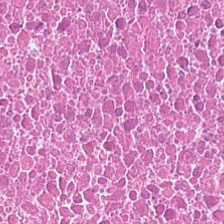WSI patch · H&E — Classification = necrotic debris.
